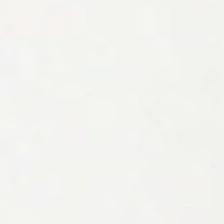Content = background (no tissue).
